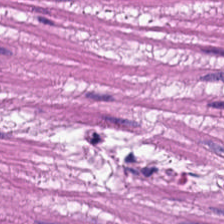Hematoxylin and eosin. Histology — smooth muscle.
